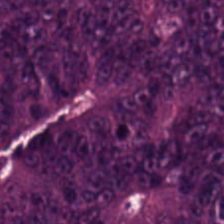Hematoxylin-and-eosin section: adenocarcinoma.
